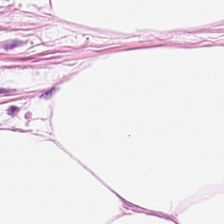H&E-stained tissue section. 0.5 µm per pixel. 224×224 px patch.
Predominantly adipose tissue.
